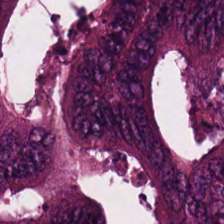H&E · 0.5 µm per pixel. Tissue type: adenocarcinoma.
